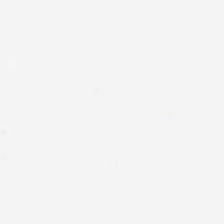Hematoxylin-and-eosin stained section. Content — background (no tissue).
